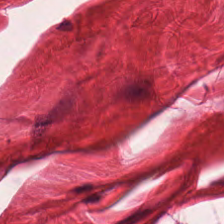FFPE; hematoxylin-and-eosin stained section — Showing muscularis.
